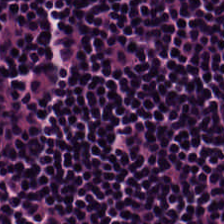224×224 px tile; hematoxylin-and-eosin stained section — Q: What is the predominant tissue type?
A: It is lymphoid infiltrate.
